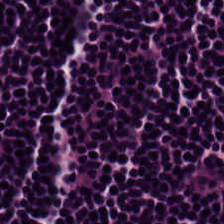Predominantly lymphocyte aggregate.
